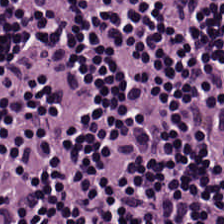Q: What tissue type is shown here?
A: Lymphocytes.
